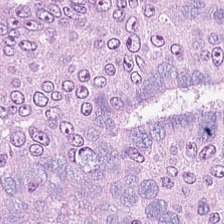0.5 µm per pixel · H&E stain · 224×224 px patch. Tissue type — colorectal adenocarcinoma.
